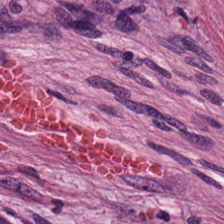Q: What does this patch show?
A: Cancer-associated stroma.
